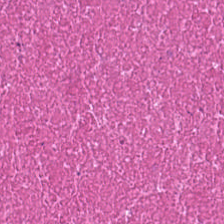Hematoxylin and eosin; 0.5 microns per pixel; WSI patch. Histology — necrotic debris.
